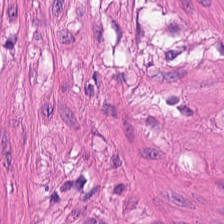H&E.
Q: What tissue is shown?
A: This is smooth-muscle tissue.
